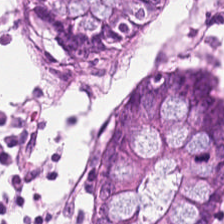H&E — This patch shows benign colonic mucosa.
